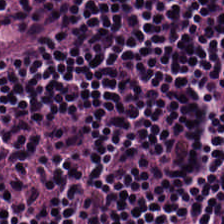Hematoxylin and eosin. Histology — lymphocyte aggregate.
